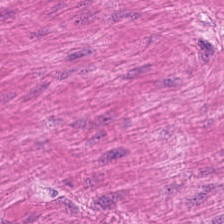H&E stain; FFPE; 0.5 µm/px.
Tissue class — muscularis.
